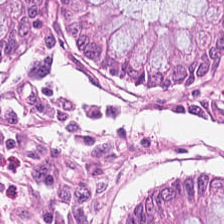Benign colonic mucosa.
